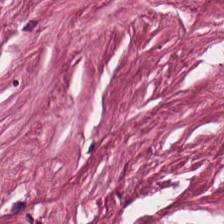H&E-stained tissue section. The predominant tissue is cancer-associated stroma.
